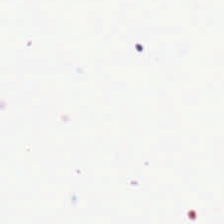H&E-stained tissue section. Impression — no tissue.
